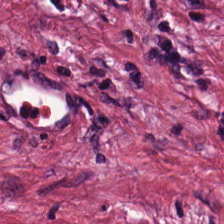Hematoxylin-and-eosin stained section.
Classification: desmoplastic stroma.
